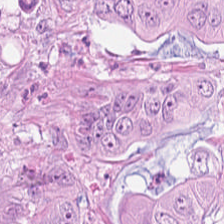H&E stain — Tissue type = colorectal adenocarcinoma epithelium.
